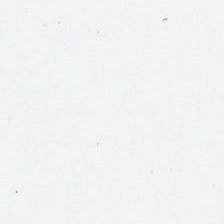Stain: H&E-stained tissue section.
Classification: empty background.
